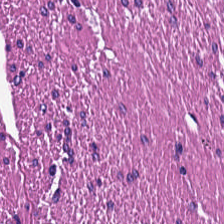H&E — The tissue here is muscularis.
